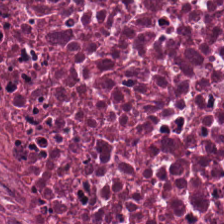Hematoxylin-and-eosin stained section. 224×224 px patch — Tissue class = cellular debris.
